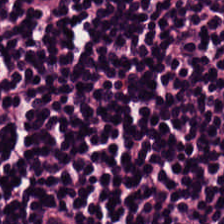20× equivalent magnification; H&E-stained tissue section. {"tissue_type": "lymphocytes"}
